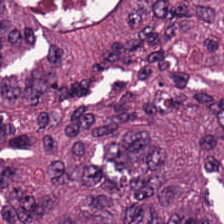H&E — colorectal adenocarcinoma epithelium.
